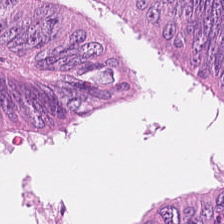H&E-stained tissue section.
Tissue: malignant epithelium.
